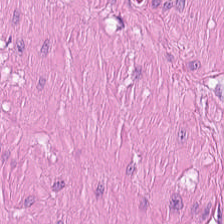Hematoxylin-and-eosin stained section. Smooth muscle.
